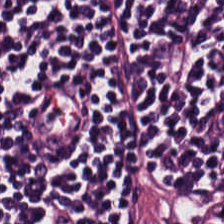0.5 µm/px · H&E stain. The tissue here is lymphoid infiltrate.
